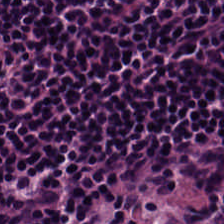Q: Classify this patch.
A: Lymphocytic infiltrate.
